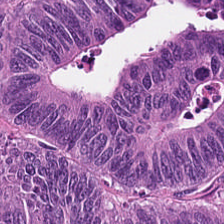Hematoxylin-and-eosin stained section; 224×224 px patch — Histology → adenocarcinoma.
